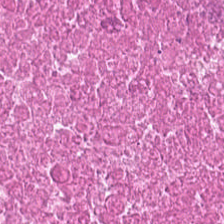Brightfield · hematoxylin and eosin. Predominantly debris.
